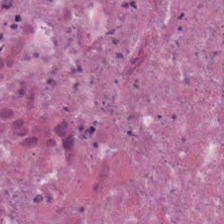Hematoxylin and eosin. The tissue here is debris.
